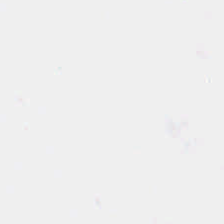Empty field — background (no tissue).
